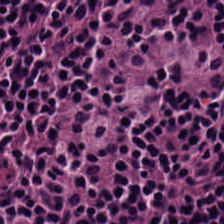FFPE · H&E stain · 224×224 pixel tile.
Lymphocyte aggregate.
